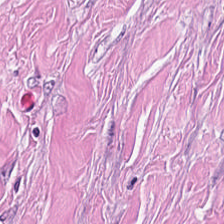Hematoxylin-and-eosin stained section. Tissue type = tumor-associated stroma.
